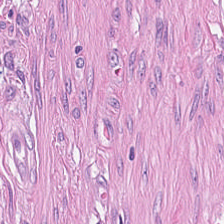Hematoxylin-and-eosin stained section.
Tissue = cancer-associated stroma.
